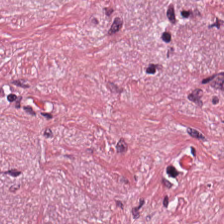Q: Classify this patch.
A: It is tumor stroma.
